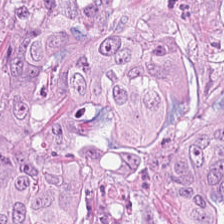Hematoxylin-and-eosin stained section. Predominantly malignant epithelium.
